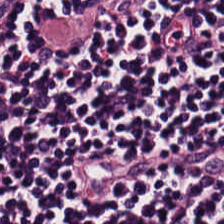Hematoxylin and eosin. {"tissue_type": "lymphocyte aggregate"}
